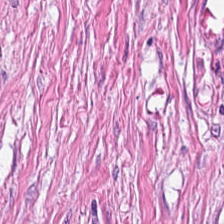H&E-stained tissue section. Classification — tumor-associated stroma.
